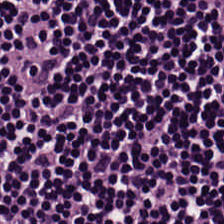Hematoxylin-and-eosin stained section · 0.5 µm/px — {"tissue_type": "lymphocyte aggregate"}
